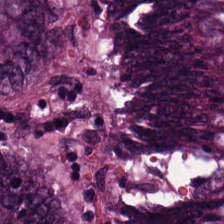H&E stain — The predominant tissue is tumor epithelium.
